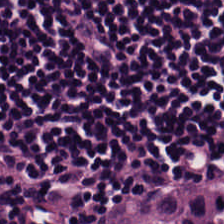H&E-stained tissue section.
The tissue here is lymphocytes.
